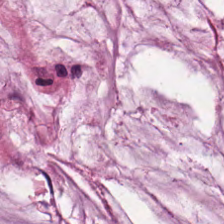FFPE; H&E-stained tissue section — The tissue here is mucin.
